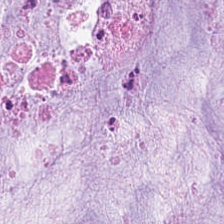Hematoxylin and eosin. 0.5 µm/px.
{"tissue_type": "mucin"}
